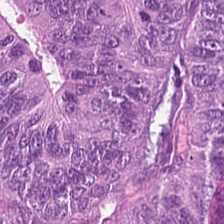H&E stain. FFPE. 224×224 px patch — This field is colorectal adenocarcinoma epithelium.
